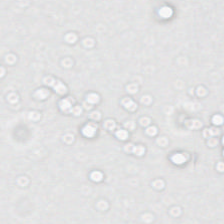H&E stain. Q: What is shown here?
A: Background (no tissue).
